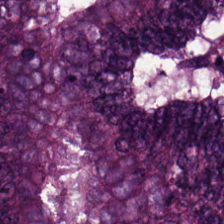Hematoxylin-and-eosin stained section.
Tissue class — tumor epithelium.
